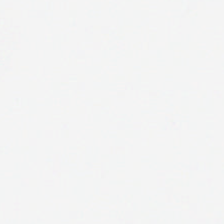224×224 px patch · hematoxylin-and-eosin stained section — This patch shows empty background.
